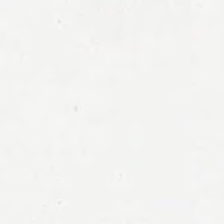Impression — background.
